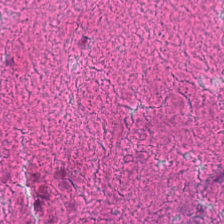Brightfield microscopy; H&E stain — Tissue class — cellular debris.
